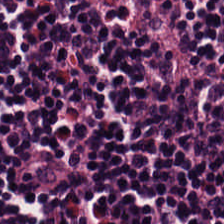Classification = lymphocyte aggregate.
